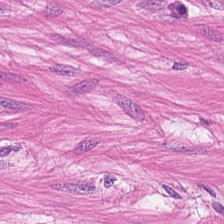Hematoxylin and eosin — Finding → muscularis.
